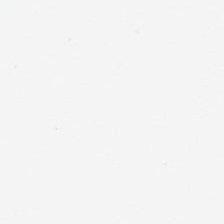Empty field — background (no tissue).
